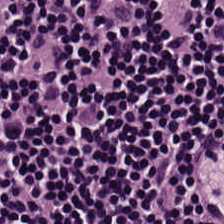Hematoxylin and eosin; FFPE.
Classification = lymphocyte aggregate.
